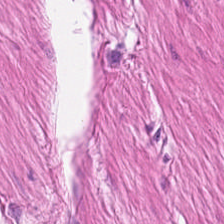Stain: hematoxylin and eosin.
Preparation: FFPE.
Classification: smooth-muscle tissue.
